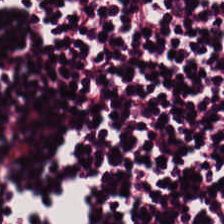Finding → lymphocyte aggregate.
